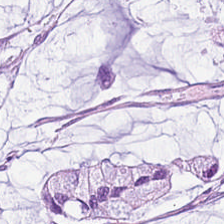224×224 px patch · hematoxylin-and-eosin stained section. Q: What is the predominant tissue type?
A: Mucin.
